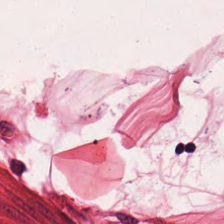FFPE · hematoxylin and eosin · 224×224 px patch — Impression — muscularis.
